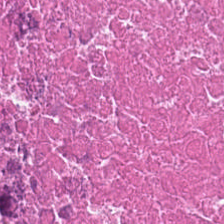H&E — Tissue class: cellular debris.
